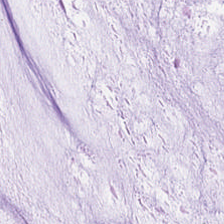Hematoxylin and eosin.
Extracellular mucin.
